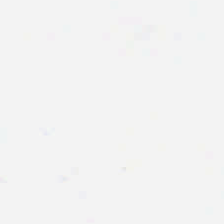Q: What does this patch show?
A: The field shows empty background.
